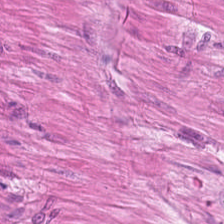Tissue type: smooth muscle.
